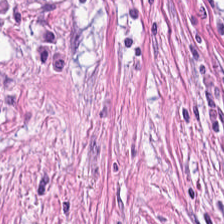Impression → desmoplastic stroma.
